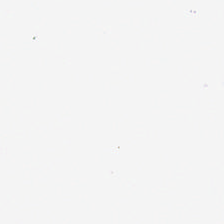H&E; 0.5 µm per pixel. Background.
